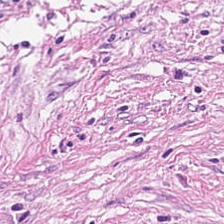H&E. 224×224 px patch.
Tissue type — desmoplastic stroma.
